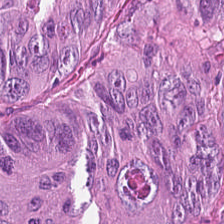Showing malignant epithelium.
